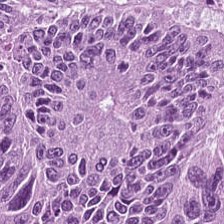Tissue type: tumor epithelium.
